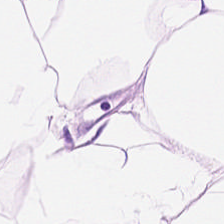H&E stain. 224×224 px tile — Predominant tissue: fat tissue.
